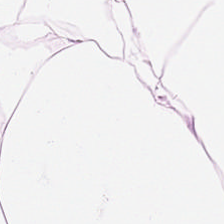H&E — fat tissue.
